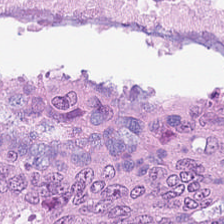H&E.
Tissue — tumor epithelium.
